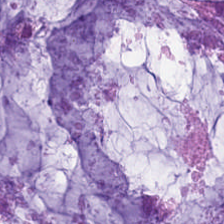Hematoxylin and eosin. Showing extracellular mucin.
